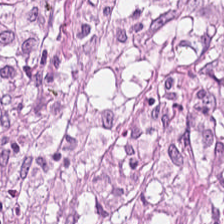Hematoxylin and eosin · 224×224 px patch · formalin-fixed paraffin-embedded section. Showing desmoplastic stroma.
